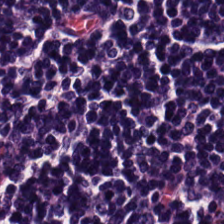Hematoxylin and eosin — The predominant tissue is lymphocyte aggregate.
